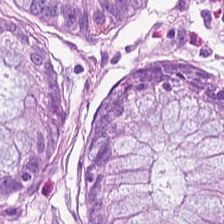Hematoxylin and eosin. Tissue = non-neoplastic colon mucosa.
